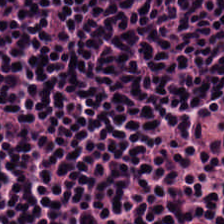Hematoxylin-and-eosin stained section · brightfield. This patch shows lymphocytic infiltrate.
